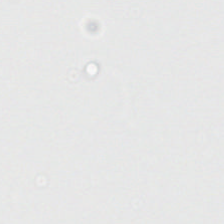H&E stain · formalin-fixed paraffin-embedded section. Q: What does this patch show?
A: Empty background.
